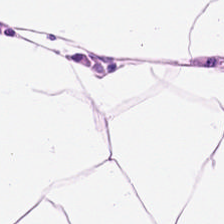H&E.
Tissue: fat tissue.
